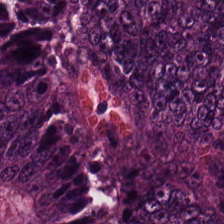H&E-stained tissue section — The tissue type is colorectal adenocarcinoma epithelium.
